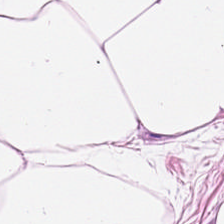Tissue class: adipose tissue.
